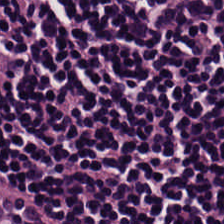Q: What is shown here?
A: It is lymphoid infiltrate.
